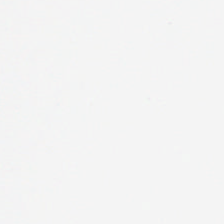H&E-stained tissue section — Content — no tissue.
